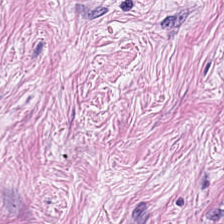Tissue: tumor-associated stroma.
